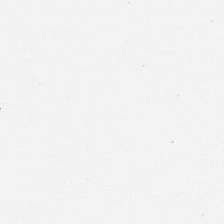Hematoxylin-and-eosin stained section — Impression → empty background.
